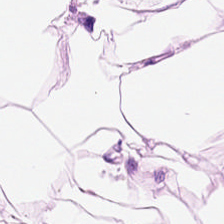Hematoxylin-and-eosin stained section — Q: What is shown in this field?
A: This is adipocytes.
